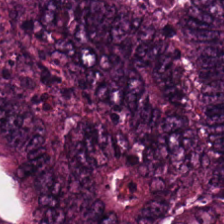Hematoxylin-and-eosin stained section.
Q: What does this patch show?
A: The field shows tumor epithelium.
